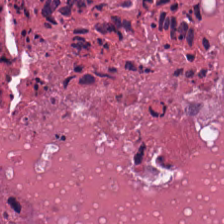H&E patch showing cellular debris.
